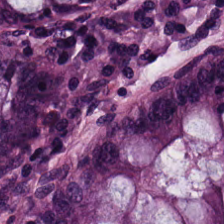0.5 µm/px. Hematoxylin-and-eosin stained section. Brightfield microscopy. Classification = benign colonic mucosa.
